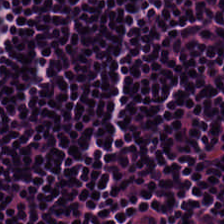H&E stain. 0.5 µm per pixel. 224×224 px tile.
Q: What is the predominant tissue type?
A: The field shows lymphocytes.
